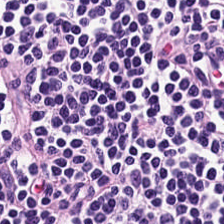H&E-stained tissue section. {"tissue_type": "lymphocytic infiltrate"}
